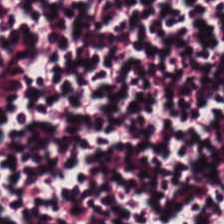H&E-stained tissue section. Tissue type — lymphocyte aggregate.
